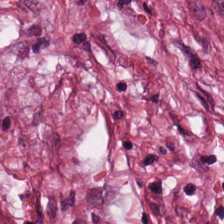Brightfield microscopy. Hematoxylin-and-eosin stained section. Q: Classify this patch.
A: This is tumor stroma.
